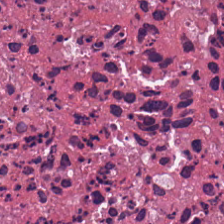H&E — necrotic debris.
